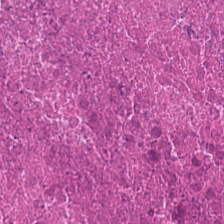Finding → cellular debris.
